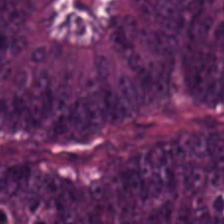FFPE · H&E-stained tissue section — Tissue class — colorectal adenocarcinoma epithelium.
